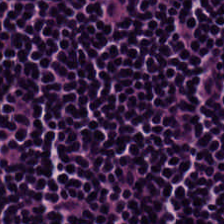FFPE tissue section · hematoxylin-and-eosin stained section.
Showing lymphocyte aggregate.
